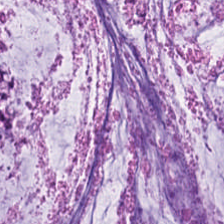224×224 px tile. FFPE tissue section. Hematoxylin and eosin. Tissue class = mucin.
